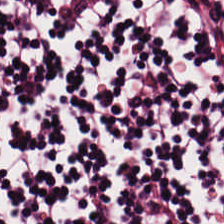H&E.
Tissue class: lymphocyte aggregate.
